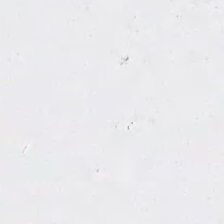Formalin-fixed paraffin-embedded section. Hematoxylin and eosin. Q: What is shown here?
A: It is background (no tissue).
